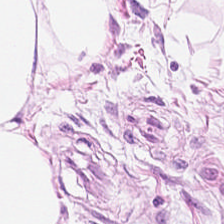Q: What tissue is shown?
A: The field shows adipose.
